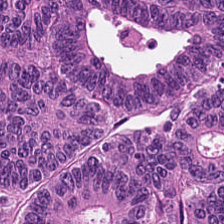FFPE tissue section. H&E-stained tissue section. 0.5 microns per pixel.
Tissue = colorectal adenocarcinoma.
